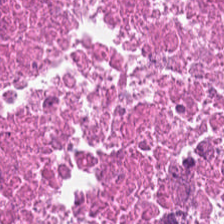Impression — cellular debris.
